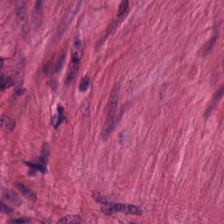WSI patch · formalin-fixed paraffin-embedded section · hematoxylin and eosin.
This field is muscularis.
